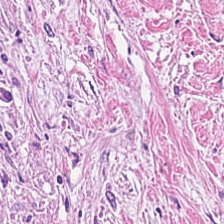Whole-slide-image patch · hematoxylin and eosin.
Predominantly tumor stroma.
